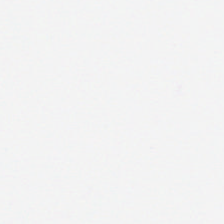H&E-stained tissue section.
Content: no tissue.
